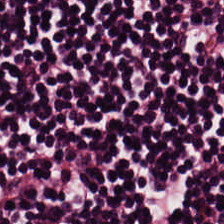H&E stain. WSI patch. This field is lymphocytic infiltrate.
